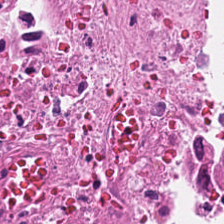H&E-stained section; the field shows debris.
